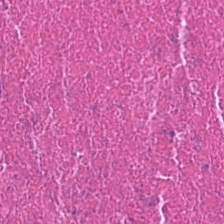Finding → cellular debris.
